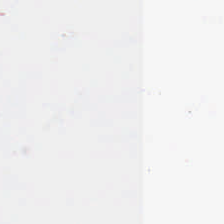H&E — Q: Classify this patch.
A: It is background.
